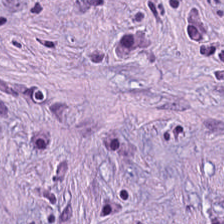Formalin-fixed paraffin-embedded section. 0.5 microns per pixel. Hematoxylin and eosin — Tumor stroma.
